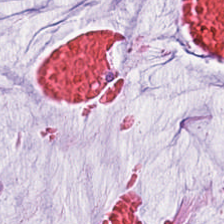Hematoxylin-and-eosin stained section. Whole-slide-image patch.
Tissue class: extracellular mucin.
